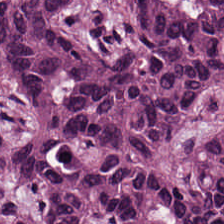Formalin-fixed paraffin-embedded section; H&E. {"tissue_type": "colorectal adenocarcinoma"}
